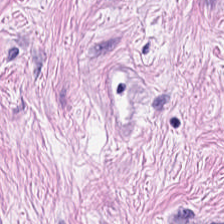Stain: hematoxylin-and-eosin stained section.
Classification: cancer-associated stroma.
